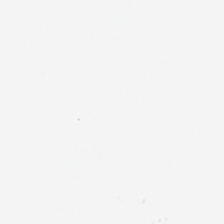H&E stain.
Background — no tissue in this field.
